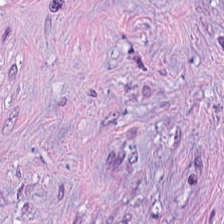The predominant tissue is tumor-associated stroma.
